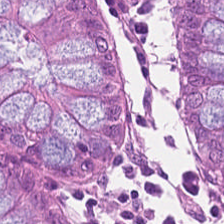H&E · FFPE — This patch shows benign colonic mucosa.
